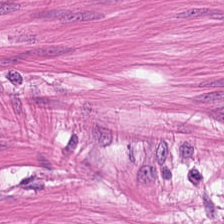WSI patch · H&E. The classification is muscularis.
